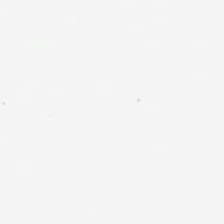Q: What is shown in this field?
A: Empty background.
